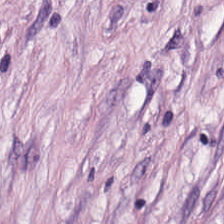Hematoxylin-and-eosin stained section.
Showing desmoplastic stroma.
